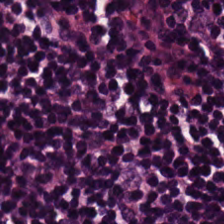0.5 µm/px. Hematoxylin and eosin. 224×224 px patch. The tissue here is lymphocytic infiltrate.
